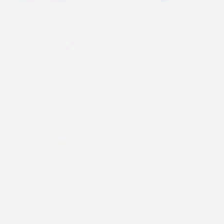Hematoxylin and eosin; brightfield microscopy; formalin-fixed paraffin-embedded section — This field is background (no tissue).
